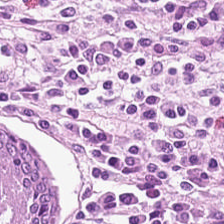H&E stain — Q: What does this patch show?
A: The field shows normal colon mucosa.
